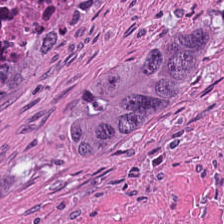H&E. 0.5 microns per pixel. 224×224 px tile. The tissue here is cellular debris.
